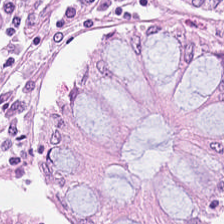Q: What tissue is shown?
A: Non-neoplastic colon mucosa.
